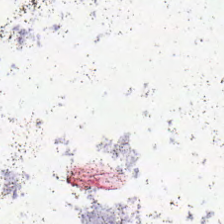Finding → no tissue.
